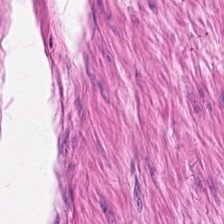H&E · 20× equivalent magnification. {"tissue_type": "smooth muscle"}
